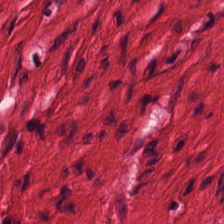Hematoxylin and eosin — Classification — smooth-muscle tissue.
